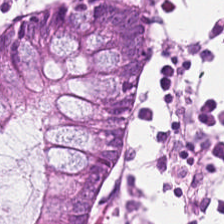224×224 pixel tile. 0.5 microns per pixel. H&E stain. Showing non-neoplastic colon mucosa.
